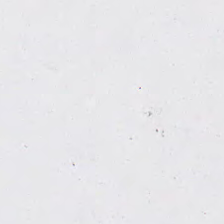Stain: hematoxylin-and-eosin stained section.
Field content: background (no tissue).
